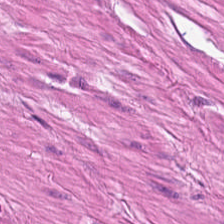Brightfield; hematoxylin-and-eosin stained section.
Showing muscularis.
